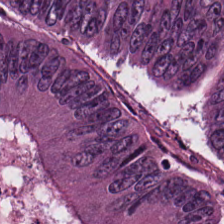The tissue here is colorectal adenocarcinoma epithelium.
